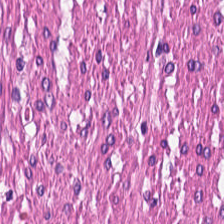H&E stain. This field is smooth muscle.
